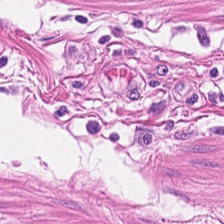Q: Classify this patch.
A: The field shows muscularis.
